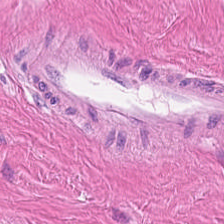FFPE tissue section · brightfield microscopy · H&E.
Tissue class = muscularis.
